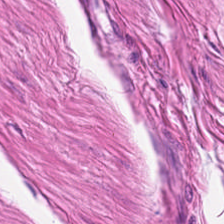WSI patch; H&E stain.
Predominantly smooth-muscle tissue.
